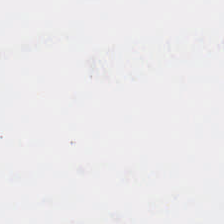Hematoxylin and eosin — Background — no tissue in this field.
